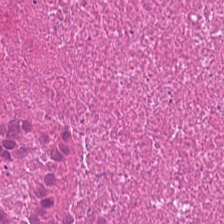Stain: hematoxylin and eosin.
Predominant tissue: cellular debris.
